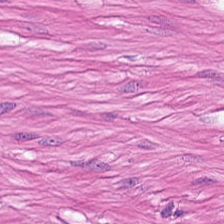Hematoxylin and eosin — Predominantly smooth-muscle tissue.
